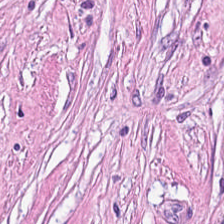Stain: hematoxylin-and-eosin stained section.
Classification: desmoplastic stroma.
